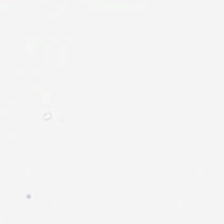Stain: H&E.
Resolution: 0.5 µm per pixel.
Preparation: FFPE.
Classification: empty background.
